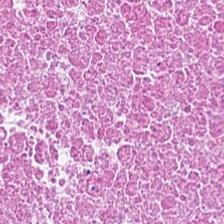H&E stain; FFPE — Tissue type = necrotic debris.
